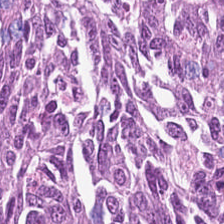H&E — Q: What is the predominant tissue type?
A: Colorectal adenocarcinoma epithelium.
